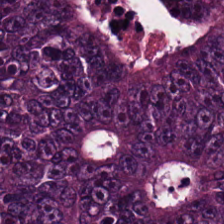Stain: H&E.
Tissue type: colorectal adenocarcinoma.
